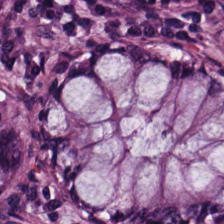Hematoxylin-and-eosin stained section; FFPE; WSI patch.
Q: Identify the tissue.
A: It is benign colonic mucosa.
